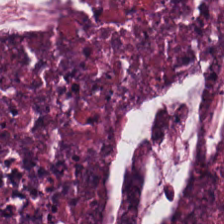H&E stain.
{"tissue_type": "cellular debris"}
